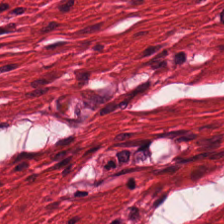Hematoxylin and eosin.
Tissue = muscularis.
